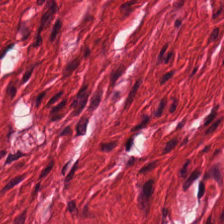224×224 px patch; H&E stain — This field is smooth muscle.
